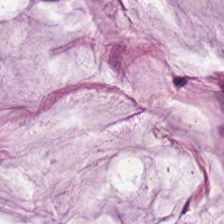Hematoxylin and eosin.
This field is extracellular mucin.
